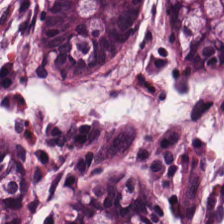H&E-stained tissue section. Finding → normal colonic mucosa.
